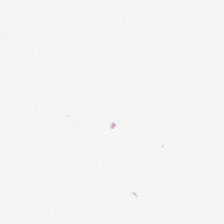FFPE tissue section · 0.5 µm per pixel · H&E-stained tissue section — Q: What does this patch show?
A: Empty background.
